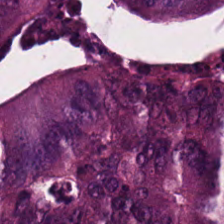H&E-stained tissue section. Q: What is shown in this field?
A: This is adenocarcinoma.
